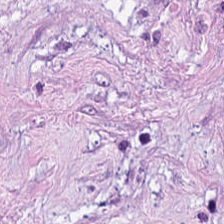Hematoxylin-and-eosin stained section · 224×224 px patch · brightfield — Classification = desmoplastic stroma.
